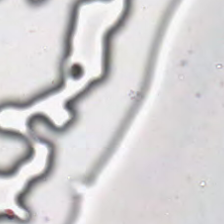Formalin-fixed paraffin-embedded section · H&E stain — {"content": "empty background"}
